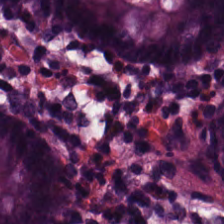224×224 px tile; hematoxylin-and-eosin stained section. The predominant tissue is normal colon mucosa.
